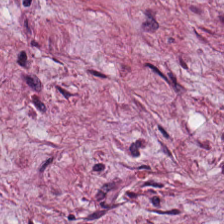224×224 px tile. Hematoxylin-and-eosin stained section — Tissue — cancer-associated stroma.
